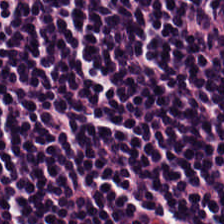H&E stain. The tissue is lymphocyte aggregate.
